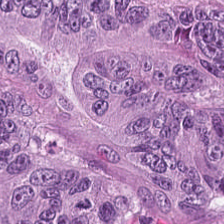H&E-stained tissue section. Histology → malignant epithelium.
